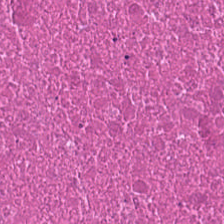Stain: H&E.
Classification: cellular debris.
